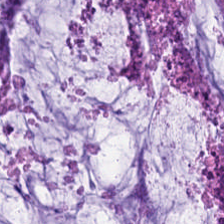Hematoxylin and eosin — Predominantly mucus.
